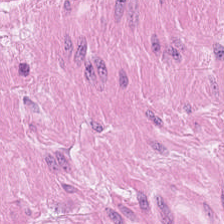20× equivalent magnification. Whole-slide-image patch. Hematoxylin and eosin. Q: What is shown here?
A: Smooth muscle.
